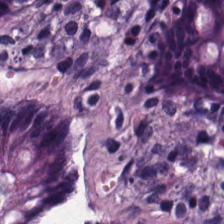Formalin-fixed paraffin-embedded section; H&E stain — Tissue type: benign colonic mucosa.
